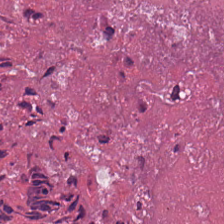Stain: hematoxylin-and-eosin stained section.
Preparation: formalin-fixed paraffin-embedded section.
Tile size: 224×224 pixel tile.
Predominant tissue: necrotic debris.
